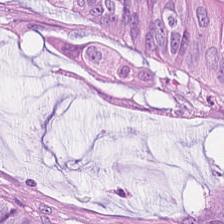Brightfield. Formalin-fixed paraffin-embedded section. H&E stain. Q: What is shown here?
A: Colorectal adenocarcinoma.
